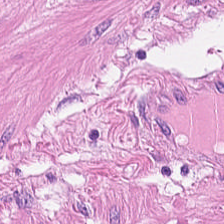H&E · 224×224 px tile · whole-slide-image patch.
Tissue type: muscularis.
